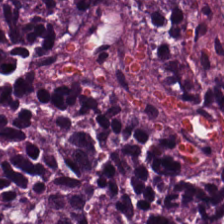Tissue type: lymphocytic infiltrate.
